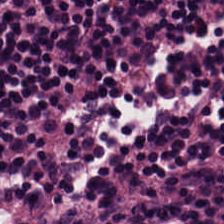H&E. Showing lymphocytes.
